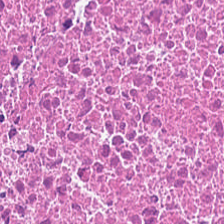The predominant tissue is debris.
